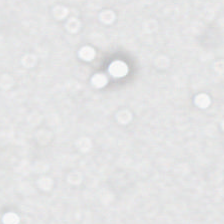H&E — Content: background.
